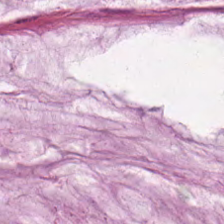Formalin-fixed paraffin-embedded section. Whole-slide-image patch. Hematoxylin-and-eosin stained section — Tissue class: mucus.
